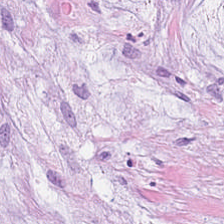WSI patch · H&E stain — The tissue here is mucus.
